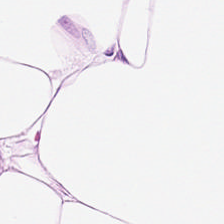0.5 microns per pixel. Hematoxylin-and-eosin stained section. Q: What is shown in this field?
A: Adipocytes.
